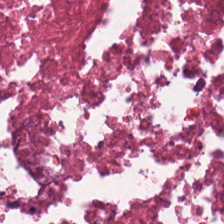Tissue: necrotic debris.
